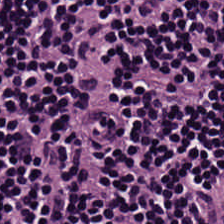0.5 µm per pixel; H&E-stained tissue section.
The predominant tissue is lymphocytic infiltrate.
